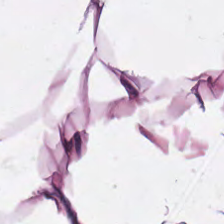Hematoxylin and eosin. This field is adipose.
